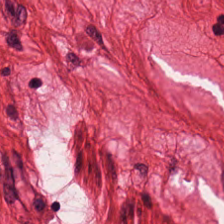H&E-stained tissue section.
Smooth-muscle tissue.
